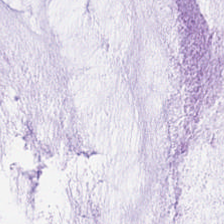H&E stain.
Classification = mucus.
